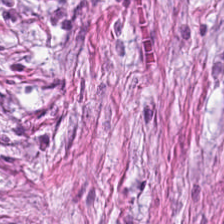Tissue type — tumor stroma.
